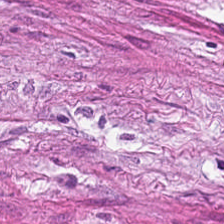Hematoxylin-and-eosin stained section · 224×224 px tile. Q: What is the predominant tissue type?
A: The field shows tumor stroma.
